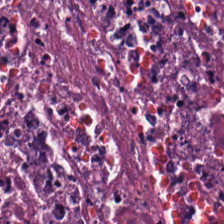Hematoxylin and eosin; 0.5 microns per pixel; WSI patch. Tissue type = necrotic debris.
